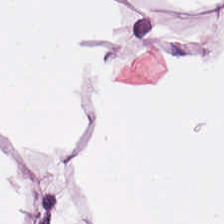Tissue class: adipose tissue.
